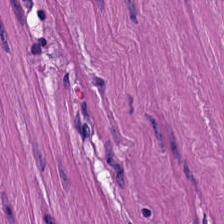H&E.
Showing smooth muscle.
